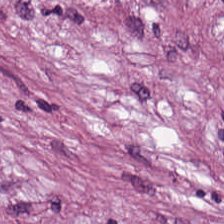Stain: hematoxylin and eosin.
Classification: tumor stroma.
